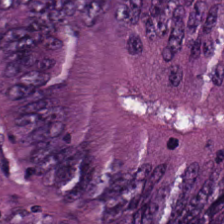Tissue class = colorectal adenocarcinoma.
